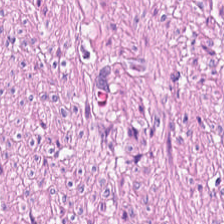Brightfield; hematoxylin and eosin.
This patch shows smooth muscle.
